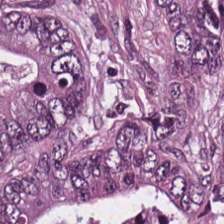{"tissue_type": "colorectal adenocarcinoma epithelium"}
